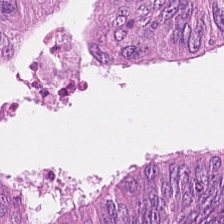Stain: H&E stain.
Preparation: FFPE tissue section.
Resolution: 0.5 microns per pixel.
Classification: adenocarcinoma.
